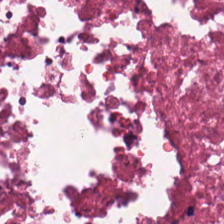H&E-stained tissue section · 224×224 px tile — The predominant tissue is necrotic debris.
